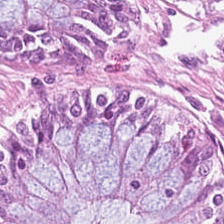H&E-stained tissue section.
Normal colonic mucosa.
